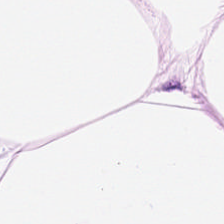Stain: hematoxylin and eosin.
Acquisition: brightfield microscopy.
Predominant tissue: fat tissue.
